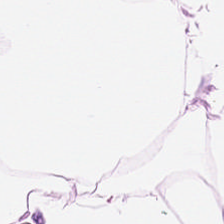224×224 pixel tile; hematoxylin-and-eosin stained section.
Showing adipocytes.
